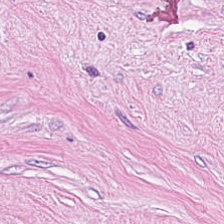Classification = desmoplastic stroma.
